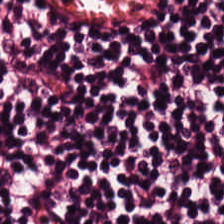Formalin-fixed paraffin-embedded section; hematoxylin and eosin; 0.5 µm per pixel.
The tissue here is lymphocyte aggregate.
